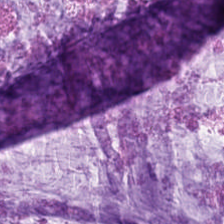H&E patch showing mucus.
